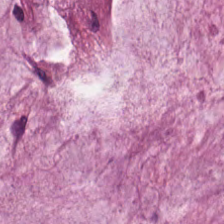H&E-stained tissue section · 20× equivalent magnification. Showing extracellular mucin.
